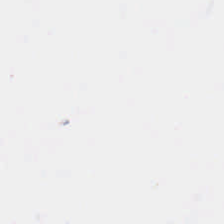Formalin-fixed paraffin-embedded section · hematoxylin and eosin — Field content: empty background.
